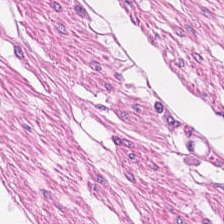FFPE · H&E-stained tissue section — Q: What does this patch show?
A: Smooth-muscle tissue.
